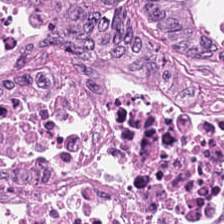Whole-slide-image patch; 224×224 px tile; H&E stain.
Malignant epithelium.
